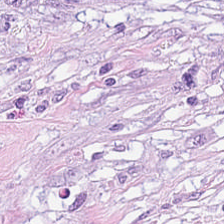H&E stain · WSI patch.
Tissue: mucin.
